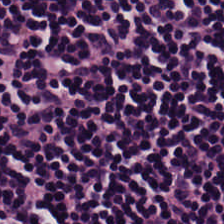Stain: H&E.
Classification: lymphocytic infiltrate.
